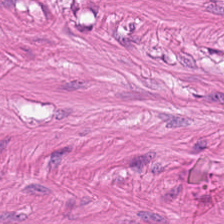Hematoxylin and eosin; FFPE tissue section. Q: What tissue is shown?
A: This is muscularis.
